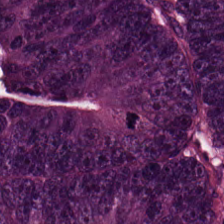0.5 µm per pixel; hematoxylin and eosin; brightfield.
Histology — tumor epithelium.
